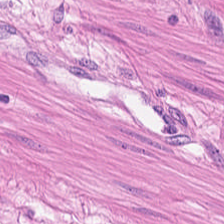H&E stain.
Showing smooth-muscle tissue.
